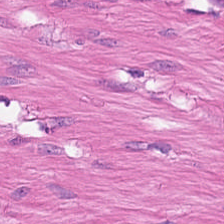FFPE. Hematoxylin-and-eosin stained section — This patch shows muscularis.
